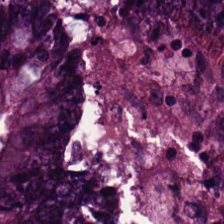The tissue here is malignant epithelium.
